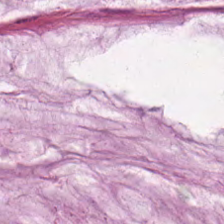Hematoxylin-and-eosin stained section.
Q: What is shown here?
A: Mucus.
